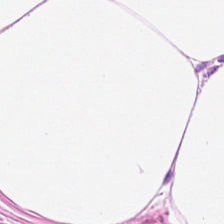Hematoxylin-and-eosin stained section; formalin-fixed paraffin-embedded section; whole-slide-image patch.
Classification: fat tissue.
